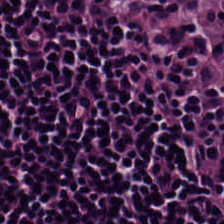H&E.
Tissue class: lymphocytes.
